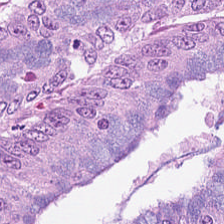Hematoxylin and eosin. 20× equivalent magnification. WSI patch. Predominant tissue: adenocarcinoma.
